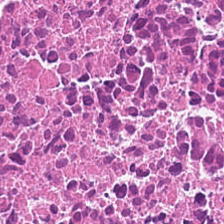H&E — Histology → cellular debris.
